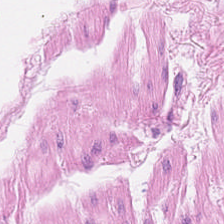0.5 µm/px. H&E-stained tissue section. The tissue class is smooth muscle.
